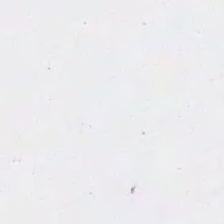H&E-stained tissue section · formalin-fixed paraffin-embedded section — Q: What does this patch show?
A: The field shows background.
